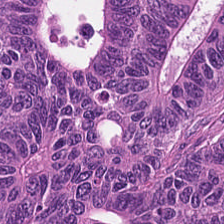Hematoxylin-and-eosin stained section. Histology → malignant epithelium.
